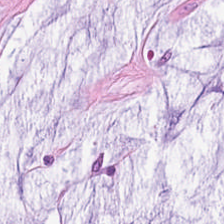Stain: H&E-stained tissue section.
Tissue class: mucin.
